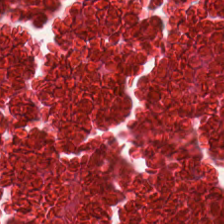Hematoxylin-and-eosin stained section — The tissue here is necrotic debris.
